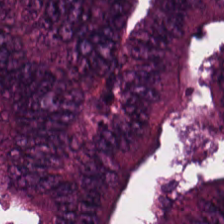Showing tumor epithelium.
